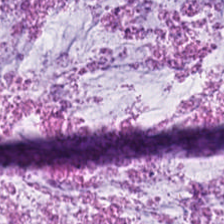Hematoxylin and eosin; whole-slide-image patch.
The tissue type is mucin.
